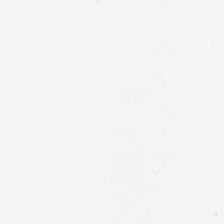H&E stain; 0.5 µm/px. Empty background.
